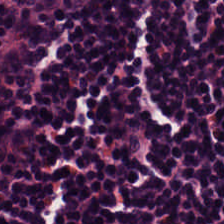H&E-stained tissue section showing lymphocytic infiltrate.
